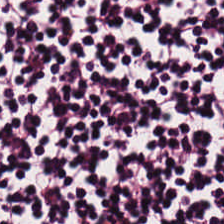H&E-stained tissue section.
The tissue class is lymphoid infiltrate.
